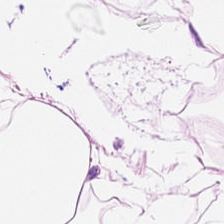Predominantly adipocytes.
